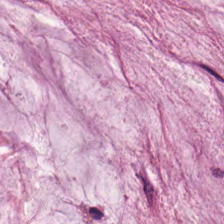H&E — Classification — extracellular mucin.
